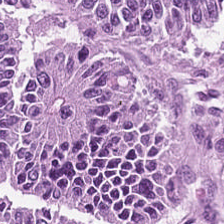H&E-stained tissue section — The tissue here is adenocarcinoma.
